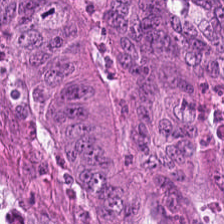H&E — Classification — adenocarcinoma.
